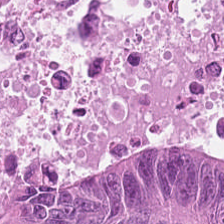The predominant tissue is colorectal adenocarcinoma epithelium.
